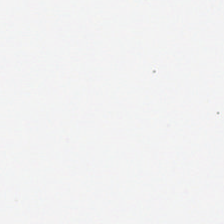H&E-stained tissue section — Background — no tissue in this field.
